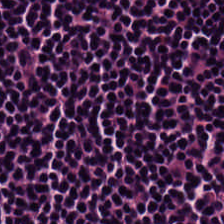Stain: H&E-stained tissue section.
Tissue class: lymphoid infiltrate.
